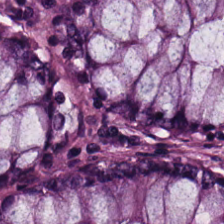H&E stain. Tissue class: benign colonic mucosa.
